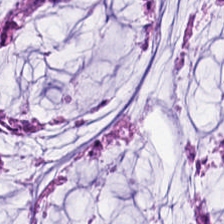Stain: hematoxylin-and-eosin stained section.
Acquisition: whole-slide-image patch.
Tissue type: extracellular mucin.
